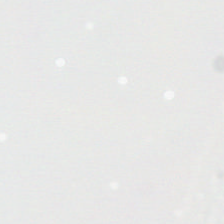Formalin-fixed paraffin-embedded section. H&E-stained tissue section.
Background.
